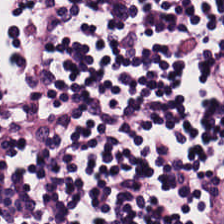H&E stain. Formalin-fixed paraffin-embedded section. This patch shows lymphocytic infiltrate.
